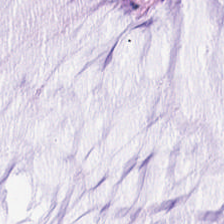Stain: hematoxylin-and-eosin stained section.
Tissue class: mucus.
